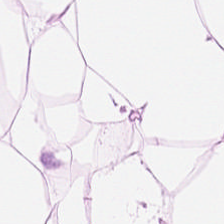H&E-stained tissue section · brightfield — Tissue class: adipose.
